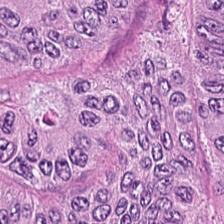H&E stain — The tissue class is colorectal adenocarcinoma epithelium.
